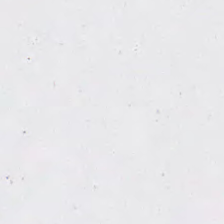This patch shows background.
